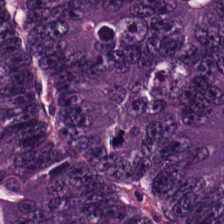H&E — colorectal adenocarcinoma.
